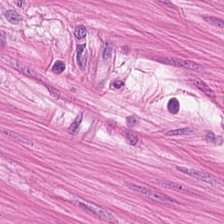Formalin-fixed paraffin-embedded section; hematoxylin and eosin. Q: What is shown in this field?
A: It is smooth muscle.
